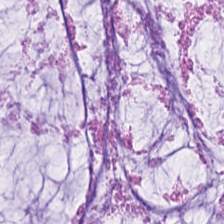224×224 pixel tile. H&E — Q: What tissue is shown?
A: It is mucin.
